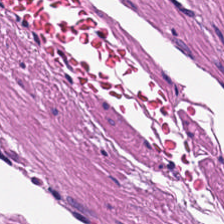H&E-stained tissue section.
Predominant tissue: smooth-muscle tissue.
